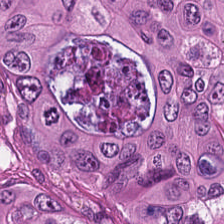H&E. Q: What tissue is shown?
A: The field shows colorectal adenocarcinoma epithelium.
